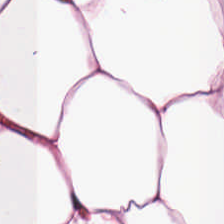H&E-stained tissue section. Formalin-fixed paraffin-embedded section. Predominant tissue: adipose tissue.
